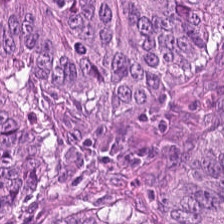Brightfield microscopy. Hematoxylin and eosin — Predominant tissue — malignant epithelium.
